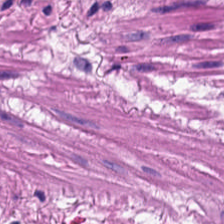Finding → smooth-muscle tissue.
